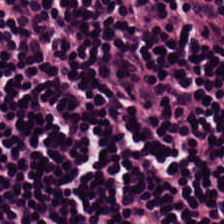Stain: H&E-stained tissue section.
Tissue type: lymphoid infiltrate.
